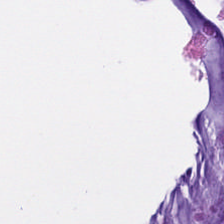H&E.
The tissue here is extracellular mucin.
